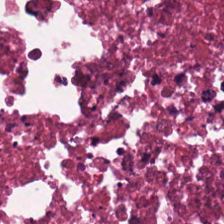H&E. Tissue type = cellular debris.
